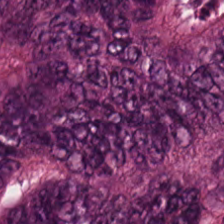Hematoxylin-and-eosin stained section — Classification: mucin.
